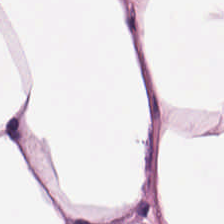H&E-stained tissue section. {"tissue_type": "adipose"}
